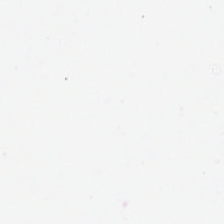H&E stain · FFPE tissue section.
Q: Classify this patch.
A: It is background.
